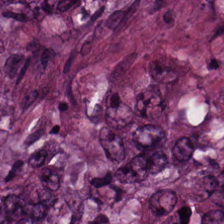Histology — colorectal adenocarcinoma epithelium.
